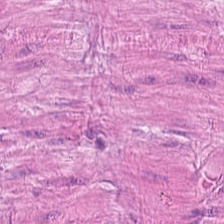This patch shows smooth muscle.
